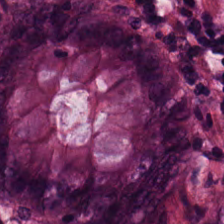Predominant tissue = non-neoplastic colon mucosa.
